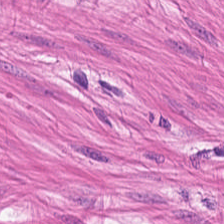Whole-slide-image patch. Hematoxylin and eosin — Smooth-muscle tissue.
